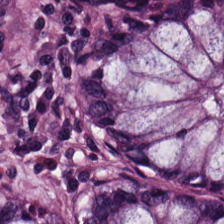This patch shows benign colonic mucosa.
